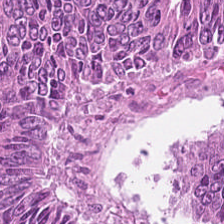H&E-stained tissue section; formalin-fixed paraffin-embedded section; 224×224 px tile. Q: Identify the tissue.
A: It is tumor epithelium.
